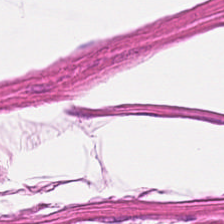224×224 pixel tile; H&E-stained tissue section.
Q: What type of tissue is this?
A: Smooth-muscle tissue.
